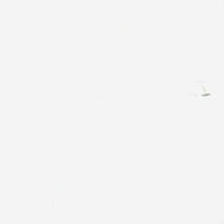The content is background.
